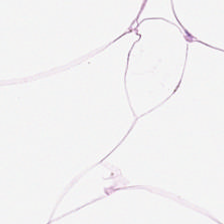H&E.
The tissue here is adipocytes.
